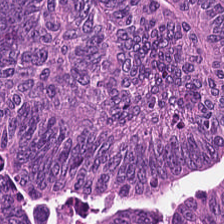224×224 px patch; H&E-stained tissue section — Q: What is shown in this field?
A: It is adenocarcinoma.
